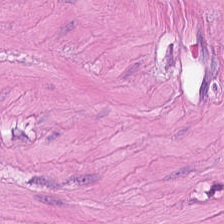Predominant tissue — smooth-muscle tissue.
